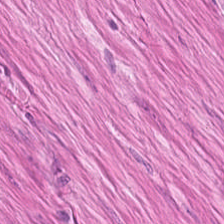H&E — This patch shows smooth-muscle tissue.
